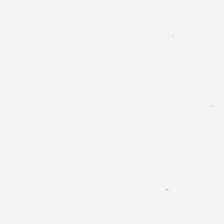224×224 pixel tile. H&E-stained tissue section. The classification is background (no tissue).
